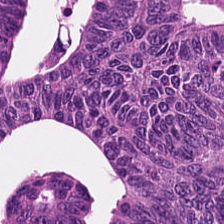Histology → tumor epithelium.
